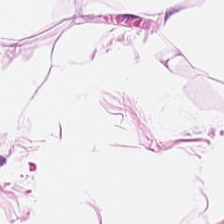Adipose tissue.
